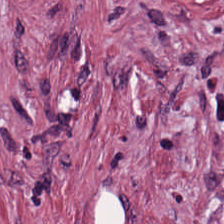0.5 µm per pixel. Hematoxylin and eosin.
This patch shows tumor-associated stroma.
